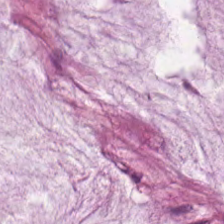Hematoxylin-and-eosin stained section — Mucin.
